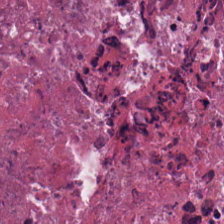Hematoxylin-and-eosin stained section. Predominant tissue = debris.
